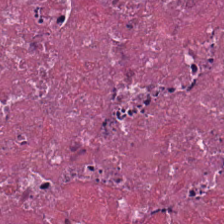WSI patch · hematoxylin-and-eosin stained section. Tissue = necrotic debris.
